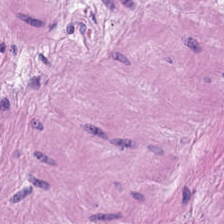Tissue class = smooth muscle.
